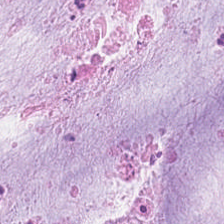Hematoxylin and eosin. Classification = extracellular mucin.
